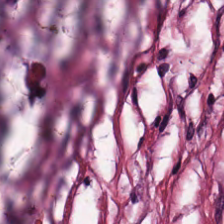H&E-stained tissue section. Predominant tissue — cancer-associated stroma.
